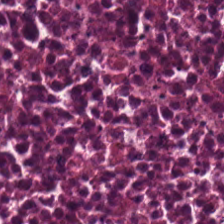H&E — The classification is debris.
